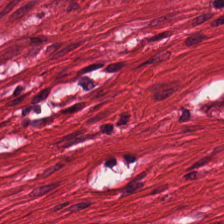Tissue class — smooth muscle.
